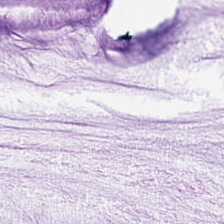Histology → extracellular mucin.
